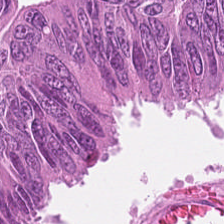Stain: hematoxylin and eosin.
Tissue class: colorectal adenocarcinoma.
